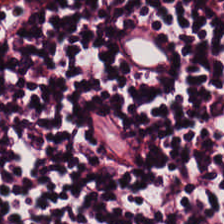H&E-stained tissue section. Tissue class: lymphocytic infiltrate.
